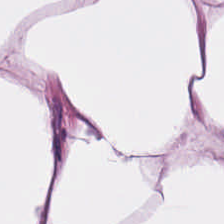FFPE; H&E stain. This patch shows adipose tissue.
